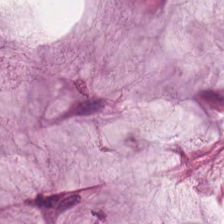Hematoxylin-and-eosin section: mucus.
